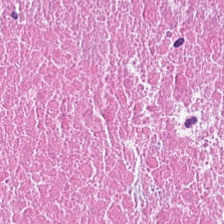Hematoxylin-and-eosin stained section — This field is necrotic debris.
